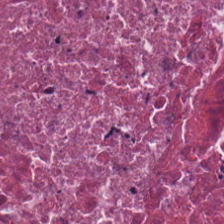This patch shows necrotic debris.
